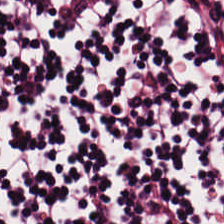H&E; 224×224 px tile; brightfield.
{"tissue_type": "lymphoid infiltrate"}
